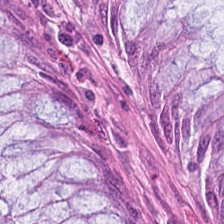Showing normal colon mucosa.
